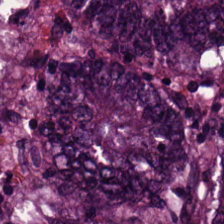Showing adenocarcinoma.
